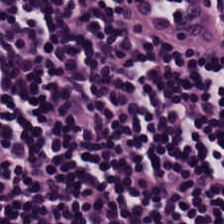FFPE tissue section. H&E.
The tissue here is lymphocyte aggregate.
